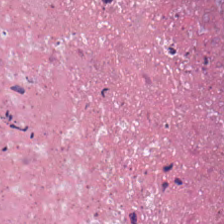Whole-slide-image patch · 224×224 px patch · H&E-stained tissue section. The predominant tissue is cellular debris.
